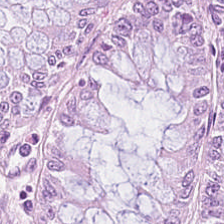H&E-stained tissue section · 224×224 px patch. This patch shows normal colonic mucosa.
